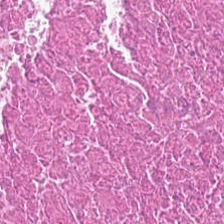The tissue type is cellular debris.
